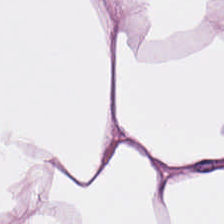Hematoxylin-and-eosin stained section. Predominantly adipose tissue.
